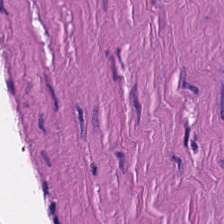Q: What is the predominant tissue type?
A: Smooth muscle.
